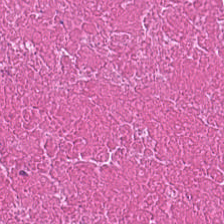Impression — necrotic debris.
